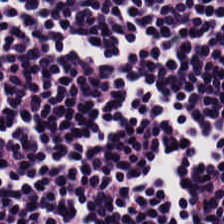Hematoxylin-and-eosin stained section. This field is lymphocyte aggregate.
